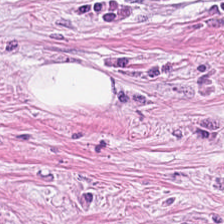H&E stain — Predominantly desmoplastic stroma.
